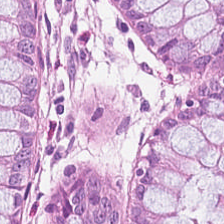Hematoxylin and eosin; brightfield; 224×224 px patch. {"tissue_type": "benign colonic mucosa"}
